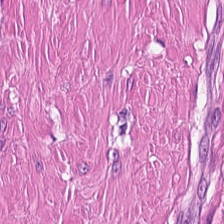Stain: H&E stain.
Classification: smooth-muscle tissue.
